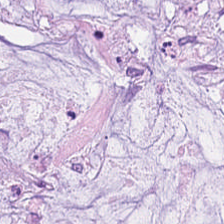H&E-stained tissue section · 224×224 pixel tile.
Predominantly mucin.
